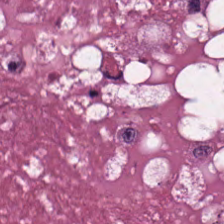Tissue class = cellular debris.
